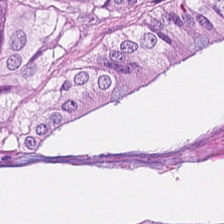Stain: H&E.
Tile size: 224×224 px patch.
Predominant tissue: colorectal adenocarcinoma epithelium.
